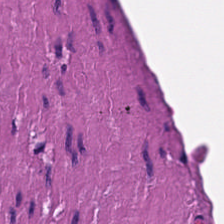H&E stain.
The tissue here is muscularis.
